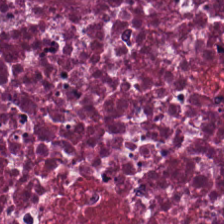Whole-slide-image patch; hematoxylin-and-eosin stained section; 224×224 pixel tile — Classification = debris.
